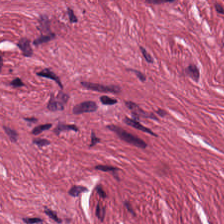Hematoxylin and eosin.
The predominant tissue is tumor-associated stroma.
